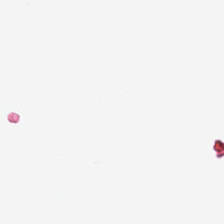Whole-slide-image patch · hematoxylin-and-eosin stained section — Background — no tissue in this field.
